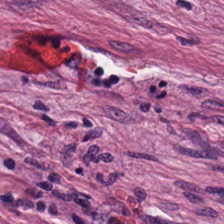H&E-stained tissue section — The predominant tissue is cancer-associated stroma.
